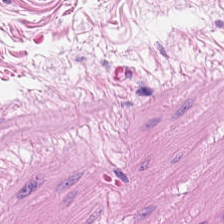Hematoxylin-and-eosin stained section — Tissue = muscularis.
